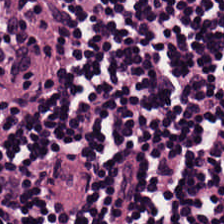Stain: H&E.
Tissue type: lymphocyte aggregate.
